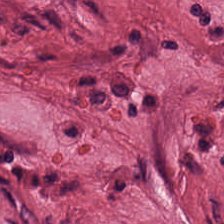H&E-stained tissue section showing tumor-associated stroma.
